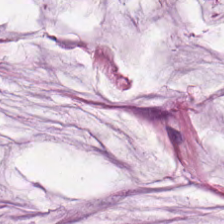{"tissue_type": "mucus"}
